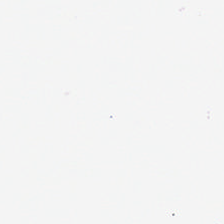224×224 px patch; H&E stain. Q: What is shown here?
A: It is background.
